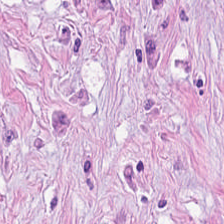H&E-stained tissue section. Whole-slide-image patch. 224×224 px patch — This patch shows tumor stroma.
